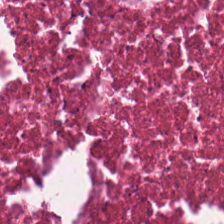H&E stain. The predominant tissue is cellular debris.
